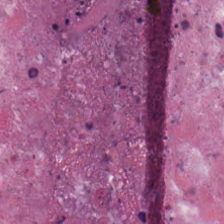H&E — Predominantly cellular debris.
